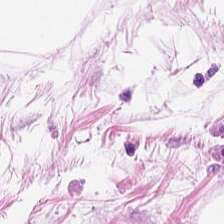Brightfield · H&E stain · 224×224 px tile — Predominantly adipose tissue.
